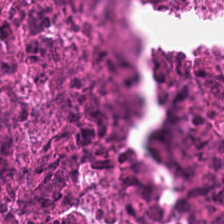FFPE; H&E-stained tissue section; WSI patch.
This patch shows necrotic debris.
